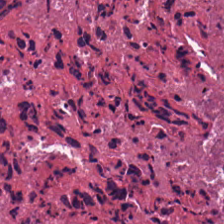H&E stain.
The tissue here is necrotic debris.
